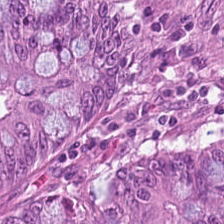H&E. Predominant tissue = colorectal adenocarcinoma.
